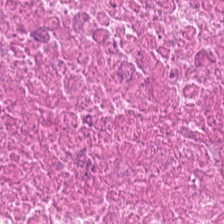Stain: H&E.
Predominant tissue: cellular debris.
